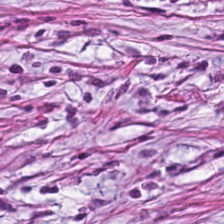224×224 px tile; H&E stain — The tissue is desmoplastic stroma.
